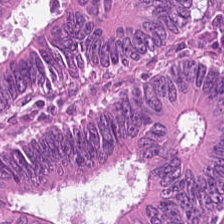Stain: hematoxylin-and-eosin stained section.
Resolution: 0.5 µm/px.
Tissue: colorectal adenocarcinoma.
